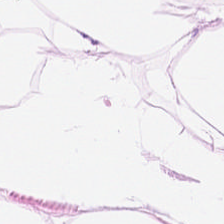Stain: H&E.
Tile size: 224×224 px patch.
Classification: adipose tissue.
